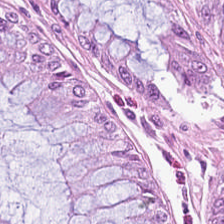H&E — normal colon mucosa.
